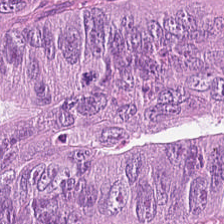H&E. Q: Identify the tissue.
A: It is colorectal adenocarcinoma epithelium.
